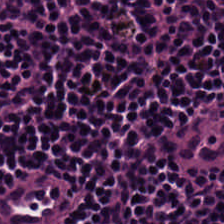Hematoxylin-and-eosin stained section. 224×224 pixel tile.
Impression — lymphocytic infiltrate.
